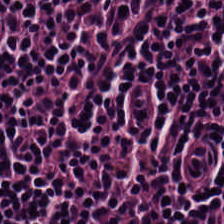H&E; WSI patch. Predominantly lymphocyte aggregate.
